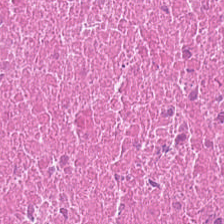H&E-stained section; the field shows necrotic debris.
